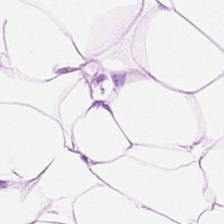H&E-stained tissue section · 0.5 µm per pixel — Impression — adipose.
